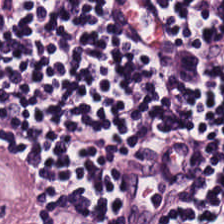Stain: H&E-stained tissue section.
Preparation: FFPE.
Tissue: lymphocytic infiltrate.
